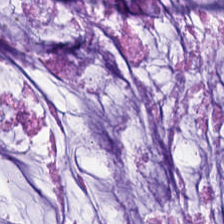224×224 pixel tile · H&E-stained tissue section.
The predominant tissue is extracellular mucin.
